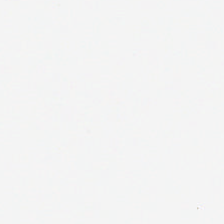H&E-stained tissue section; 0.5 µm/px.
Classification — background (no tissue).
